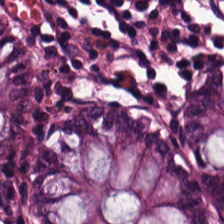H&E-stained tissue section showing benign colonic mucosa.
